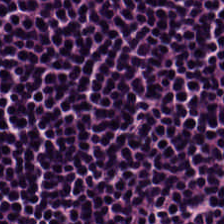224×224 px tile. H&E-stained tissue section — Q: Identify the tissue.
A: Lymphocytes.
